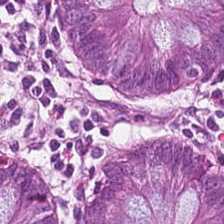Formalin-fixed paraffin-embedded section · hematoxylin-and-eosin stained section · 0.5 microns per pixel.
The predominant tissue is benign colonic mucosa.
